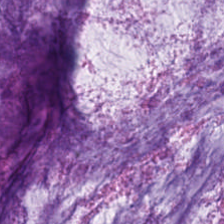H&E — This patch shows extracellular mucin.
